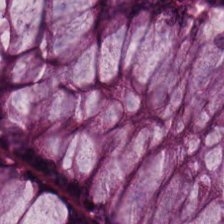H&E-stained tissue section · 224×224 pixel tile — Q: What is shown here?
A: Benign colonic mucosa.
